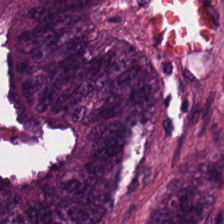Hematoxylin-and-eosin section: tumor epithelium.
